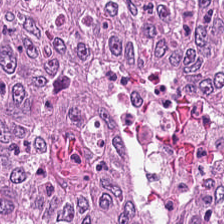The tissue is malignant epithelium.
